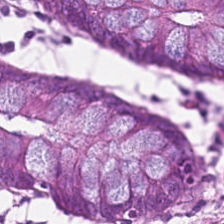FFPE; H&E; brightfield — Q: What is shown here?
A: Benign colonic mucosa.
